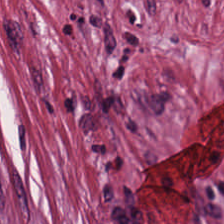Q: Identify the tissue.
A: The field shows tumor-associated stroma.
